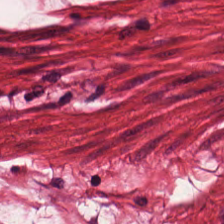Stain: H&E stain.
Predominant tissue: smooth muscle.
